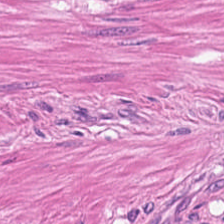Hematoxylin and eosin; brightfield; 0.5 microns per pixel — The tissue here is smooth muscle.
